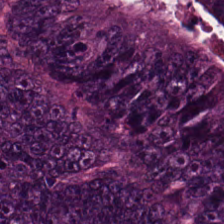Histology — colorectal adenocarcinoma epithelium.
